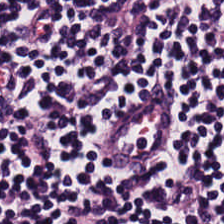H&E-stained tissue section. Brightfield — Predominant tissue = lymphocytes.
